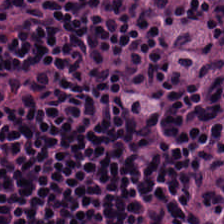0.5 microns per pixel; H&E-stained tissue section; 224×224 pixel tile. Tissue type = lymphoid infiltrate.
